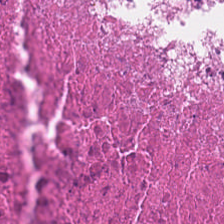Stain: hematoxylin-and-eosin stained section.
Predominant tissue: cellular debris.
